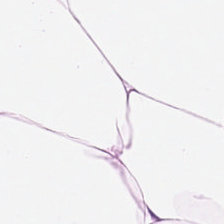0.5 microns per pixel · whole-slide-image patch · H&E stain. Q: What tissue is shown?
A: The field shows adipose tissue.
